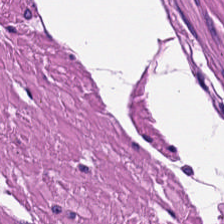Hematoxylin-and-eosin stained section. Q: Classify this patch.
A: The field shows muscularis.
